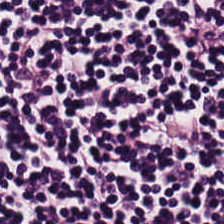Hematoxylin and eosin. The predominant tissue is lymphocytic infiltrate.
